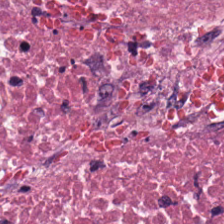FFPE tissue section. H&E-stained tissue section.
Predominantly debris.
